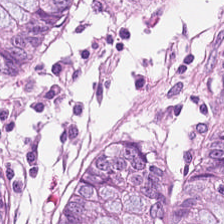Stain: hematoxylin-and-eosin stained section.
Tissue type: normal colonic mucosa.
